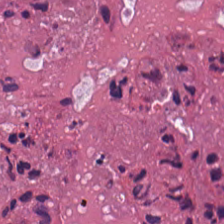H&E-stained section; the field shows necrotic debris.
